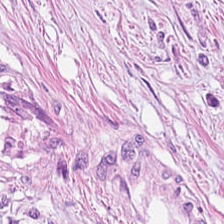224×224 px tile; FFPE tissue section; hematoxylin and eosin. The tissue class is cancer-associated stroma.
